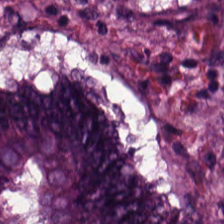H&E patch showing malignant epithelium.
